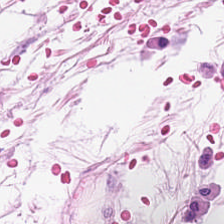Stain: hematoxylin-and-eosin stained section.
Tissue type: fat tissue.
